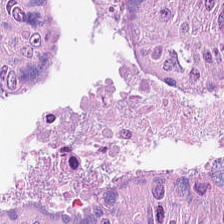Hematoxylin-and-eosin stained section.
Histology — colorectal adenocarcinoma.
